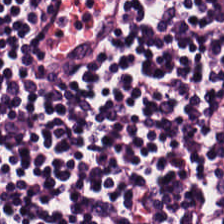Hematoxylin-and-eosin stained section. This patch shows lymphocytes.
